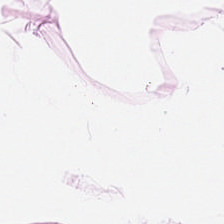FFPE. H&E. Showing adipocytes.
